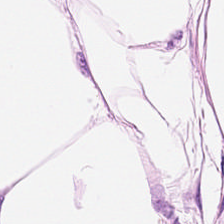H&E stain; 0.5 µm per pixel; whole-slide-image patch.
Q: What is the predominant tissue type?
A: It is adipocytes.
